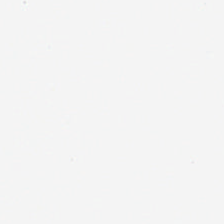Stain: H&E.
Field content: empty background.
